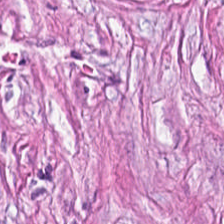H&E-stained tissue section. Q: What is shown here?
A: Tumor stroma.
